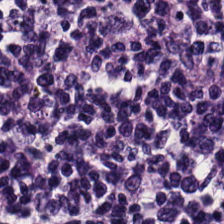H&E-stained tissue section. Finding — lymphocyte aggregate.
